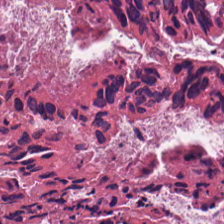Stain: H&E.
Classification: necrotic debris.
